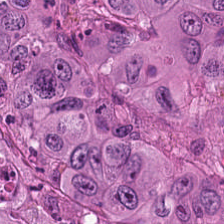H&E-stained tissue section. Tissue class — colorectal adenocarcinoma epithelium.
